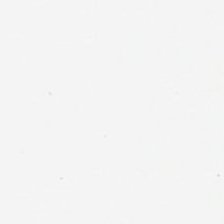Content = background (no tissue).
